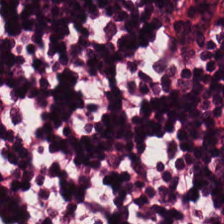Stain: H&E-stained tissue section.
Tissue type: lymphocyte aggregate.
